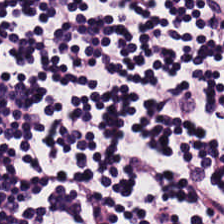H&E-stained tissue section — The predominant tissue is lymphocyte aggregate.
